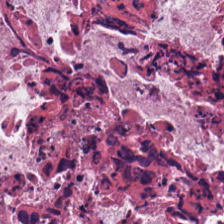Q: Identify the tissue.
A: The field shows debris.
